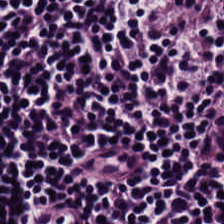Brightfield · H&E-stained tissue section. Finding — lymphocytes.
